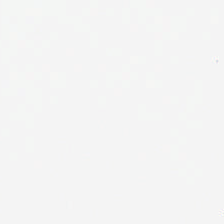H&E stain.
Q: Classify this patch.
A: It is background.
